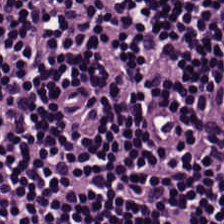H&E stain. This patch shows lymphocyte aggregate.
